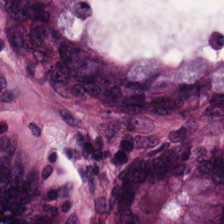224×224 px tile · H&E-stained tissue section.
Tissue — normal colon mucosa.
